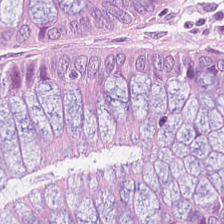Stain: H&E-stained tissue section.
Predominant tissue: normal colon mucosa.
